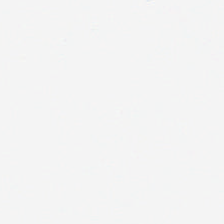H&E-stained tissue section — Classification = background (no tissue).
